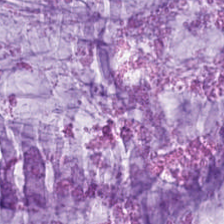Tissue — mucus.
